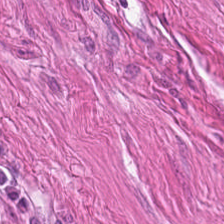H&E; 224×224 px patch — Predominantly smooth muscle.
